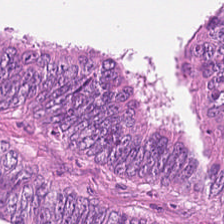20× equivalent magnification; FFPE tissue section; H&E-stained tissue section. The tissue here is colorectal adenocarcinoma epithelium.
